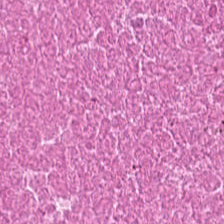Hematoxylin-and-eosin stained section.
Tissue class = cellular debris.
